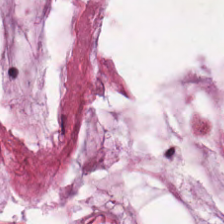224×224 px patch; hematoxylin-and-eosin stained section; WSI patch — Histology → mucus.
